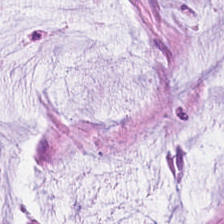H&E; brightfield. Mucin.
